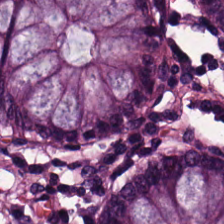Tissue: normal colon mucosa.
